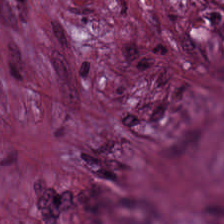224×224 px tile; H&E-stained tissue section.
The tissue here is tumor-associated stroma.
